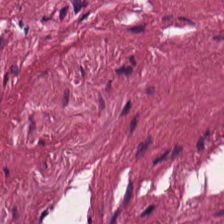Brightfield; hematoxylin-and-eosin stained section. This patch shows cancer-associated stroma.
